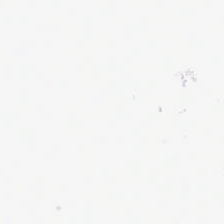H&E stain. This field is background (no tissue).
